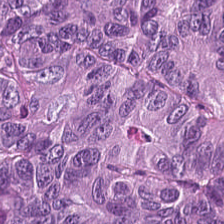H&E stain; 224×224 px patch — Q: Identify the tissue.
A: The field shows tumor epithelium.
